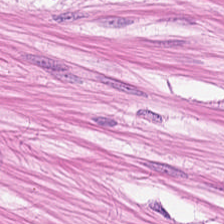Hematoxylin and eosin; 224×224 px tile. Showing smooth-muscle tissue.
